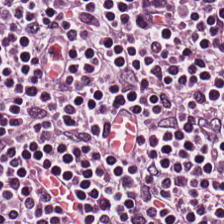Predominant tissue = lymphoid infiltrate.
